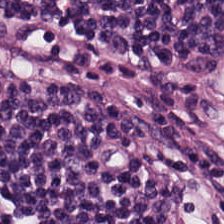Stain: hematoxylin-and-eosin stained section.
Resolution: 20× equivalent magnification.
Tissue: lymphoid infiltrate.
